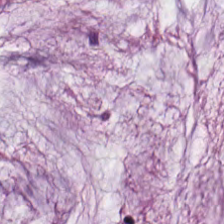224×224 px patch · brightfield · H&E stain. This field is mucus.
